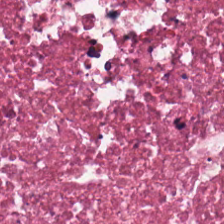WSI patch. FFPE tissue section. H&E stain.
This field is necrotic debris.
